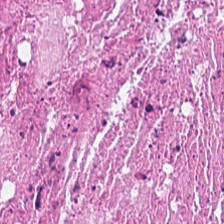224×224 pixel tile; formalin-fixed paraffin-embedded section; hematoxylin and eosin.
Necrotic debris.
